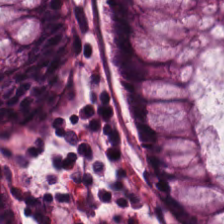{"tissue_type": "normal colonic mucosa"}
